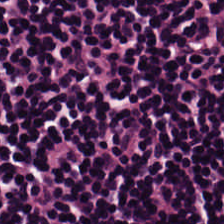H&E. Predominantly lymphocyte aggregate.
